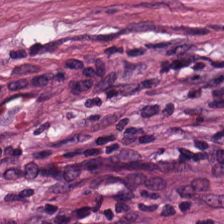H&E — Showing tumor stroma.
